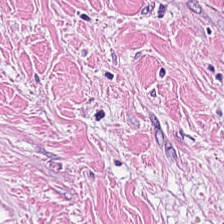H&E-stained tissue section · FFPE — This patch shows tumor stroma.
